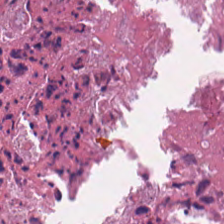Hematoxylin-and-eosin stained section; 0.5 µm/px.
Q: Classify this patch.
A: The field shows necrotic debris.
